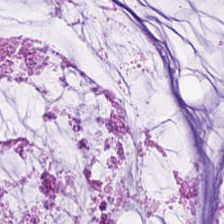Tissue class = mucus.
